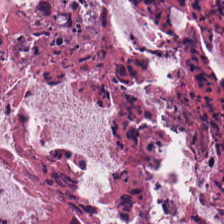The tissue is debris.
